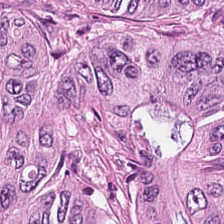H&E-stained tissue section. FFPE. Predominant tissue — tumor epithelium.
